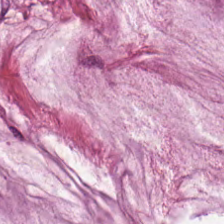H&E. Brightfield. FFPE.
The tissue class is extracellular mucin.
